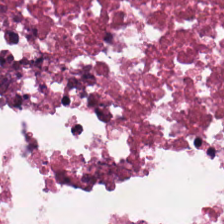H&E stain. Brightfield microscopy.
Impression → necrotic debris.
